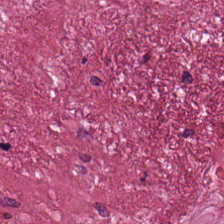Tissue: tumor stroma.
